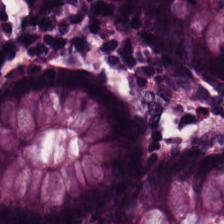H&E · 224×224 pixel tile.
The tissue here is normal colon mucosa.
